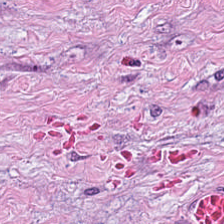H&E stain — Q: What type of tissue is this?
A: It is cancer-associated stroma.
